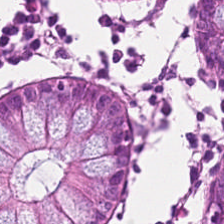Formalin-fixed paraffin-embedded section; H&E. Q: What is shown here?
A: The field shows normal colon mucosa.
